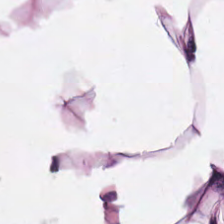Hematoxylin-and-eosin stained section.
Q: What tissue type is shown here?
A: Adipose.
